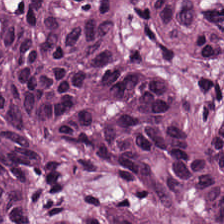FFPE tissue section. Hematoxylin-and-eosin stained section. 224×224 pixel tile. The tissue here is colorectal adenocarcinoma.
